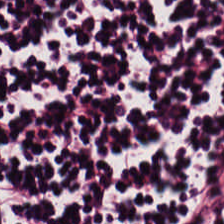Stain: hematoxylin-and-eosin stained section.
Acquisition: brightfield microscopy.
Tile size: 224×224 pixel tile.
Tissue class: lymphoid infiltrate.
